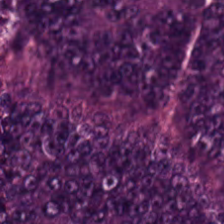H&E.
This patch shows malignant epithelium.
